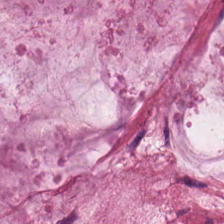Finding → mucus.
